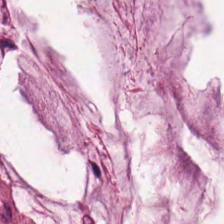Hematoxylin-and-eosin stained section · 0.5 µm/px. The tissue here is extracellular mucin.
